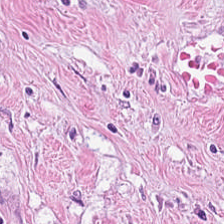Brightfield microscopy; H&E stain. Tissue type — cancer-associated stroma.
